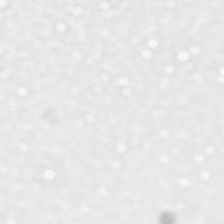Hematoxylin-and-eosin stained section — Background — no tissue in this field.
